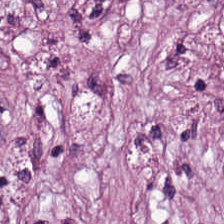The predominant tissue is desmoplastic stroma.
